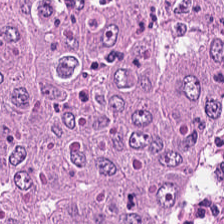H&E-stained tissue section. 224×224 pixel tile. Classification — adenocarcinoma.
